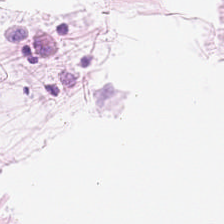Tissue — fat tissue.
